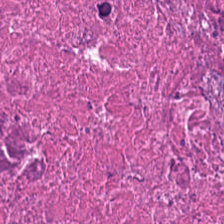H&E stain. The tissue type is necrotic debris.
